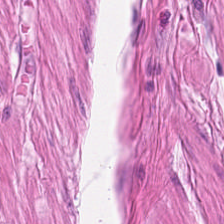Stain: H&E-stained tissue section.
Predominant tissue: smooth-muscle tissue.
